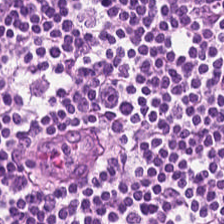Brightfield microscopy; H&E-stained tissue section.
Predominant tissue = lymphoid infiltrate.
